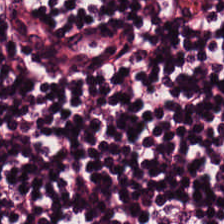Hematoxylin and eosin. This field is lymphocyte aggregate.
